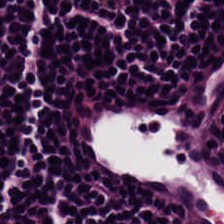224×224 px tile · H&E · 20× equivalent magnification.
Q: What type of tissue is this?
A: This is lymphoid infiltrate.
